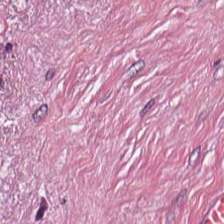H&E.
Q: What is the predominant tissue type?
A: Tumor-associated stroma.
